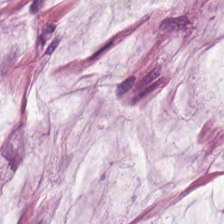H&E patch showing mucus.
